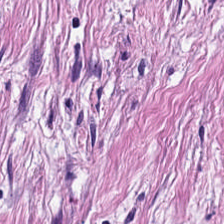Impression — cancer-associated stroma.
